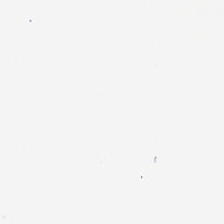0.5 microns per pixel · H&E stain. Q: Classify this patch.
A: This is background.
